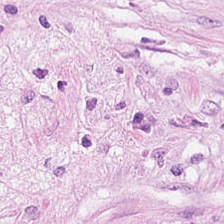FFPE tissue section; hematoxylin and eosin; 224×224 px tile — Tumor stroma.
